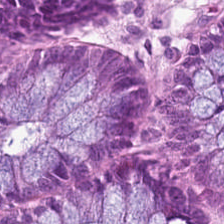{"tissue_type": "non-neoplastic colon mucosa"}
